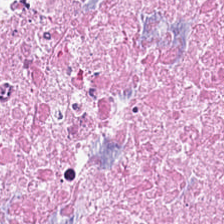20× equivalent magnification; hematoxylin-and-eosin stained section. The predominant tissue is debris.
